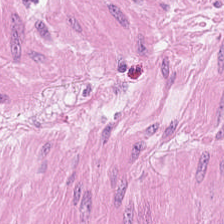H&E-stained tissue section. 20× equivalent magnification — Q: What is shown here?
A: Smooth-muscle tissue.
